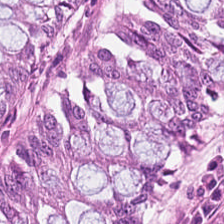H&E-stained tissue section. Q: Classify this patch.
A: Normal colonic mucosa.
